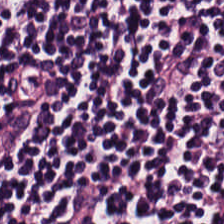224×224 px tile · hematoxylin-and-eosin stained section · brightfield microscopy — Q: What tissue is shown?
A: This is lymphocyte aggregate.
